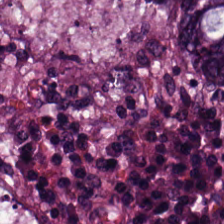H&E-stained tissue section.
Impression — adenocarcinoma.
